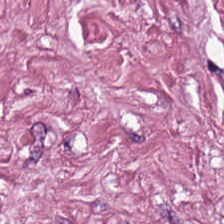Whole-slide-image patch · hematoxylin-and-eosin stained section — This patch shows tumor stroma.
